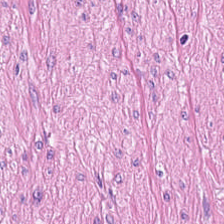Stain: H&E-stained tissue section.
Classification: muscularis.
